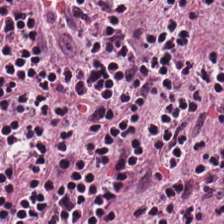H&E-stained tissue section showing lymphocytic infiltrate.
